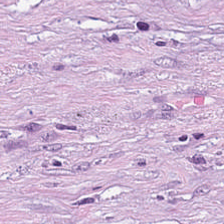Hematoxylin-and-eosin stained section. Showing desmoplastic stroma.
